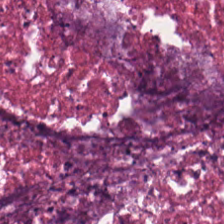H&E stain; brightfield. Classification: debris.
